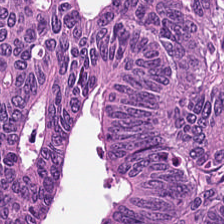H&E — Finding → colorectal adenocarcinoma.
